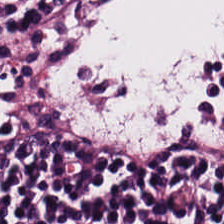224×224 px tile. H&E stain — Predominantly lymphoid infiltrate.
